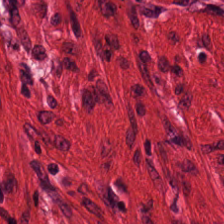H&E — muscularis.
